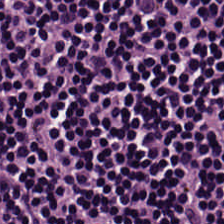Hematoxylin and eosin — The tissue is lymphocyte aggregate.
